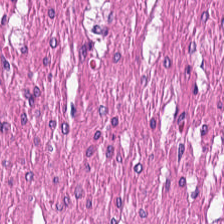Stain: H&E-stained tissue section.
Predominant tissue: smooth-muscle tissue.
